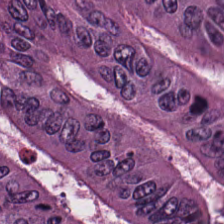Tissue type — adenocarcinoma.
